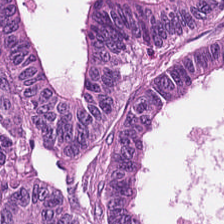This patch shows colorectal adenocarcinoma.
